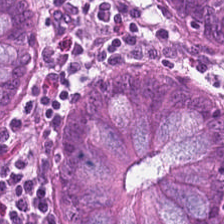224×224 px tile; 0.5 microns per pixel; H&E stain — Classification — normal colon mucosa.
